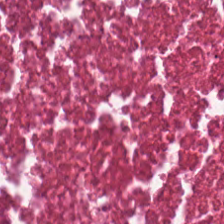Predominantly cellular debris.
